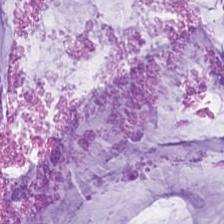FFPE; H&E-stained tissue section.
The predominant tissue is extracellular mucin.
